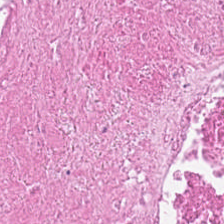H&E-stained tissue section — Q: What type of tissue is this?
A: This is cellular debris.
